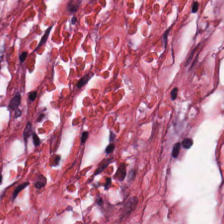0.5 microns per pixel. FFPE. H&E.
Tissue class — tumor-associated stroma.
